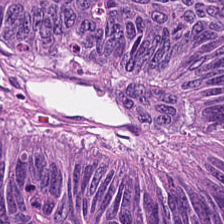Stain: H&E-stained tissue section.
Tissue type: colorectal adenocarcinoma.
